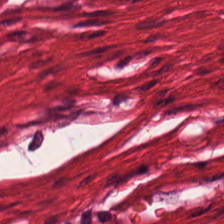H&E-stained tissue section showing muscularis.
